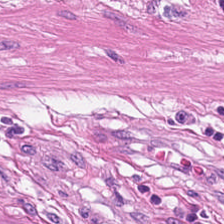Hematoxylin-and-eosin stained section — Impression → smooth-muscle tissue.
